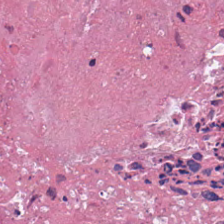H&E — {"tissue_type": "debris"}
